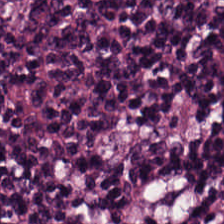FFPE; H&E stain; 0.5 µm per pixel. Histology → lymphocyte aggregate.
